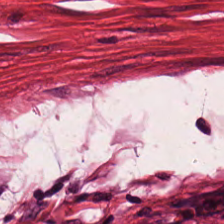H&E stain.
{"tissue_type": "smooth-muscle tissue"}
